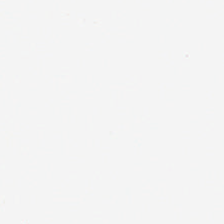H&E-stained tissue section. 0.5 µm/px.
This field is background (no tissue).
